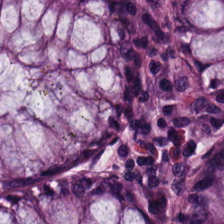H&E-stained tissue section — Showing normal colonic mucosa.
